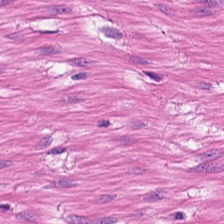Hematoxylin-and-eosin stained section; brightfield — Q: What tissue is shown?
A: Smooth-muscle tissue.
